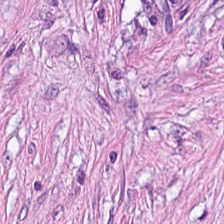H&E. 0.5 µm per pixel. 224×224 px tile.
The classification is tumor stroma.
